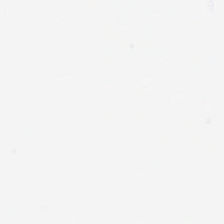Q: Classify this patch.
A: This is background.
